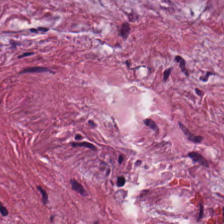H&E stain. Q: What is shown in this field?
A: It is tumor stroma.
